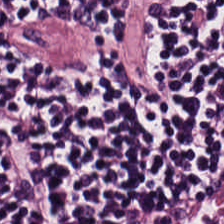Hematoxylin and eosin — The tissue here is lymphocytic infiltrate.
